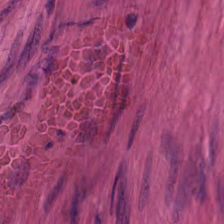Hematoxylin-and-eosin stained section — Q: Classify this patch.
A: The field shows smooth-muscle tissue.
